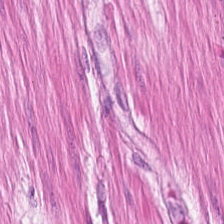H&E-stained tissue section.
Smooth-muscle tissue.
